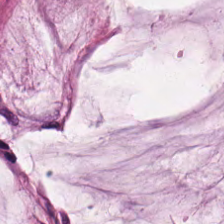Hematoxylin-and-eosin stained section — Tissue type = mucin.
